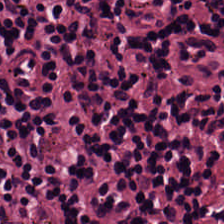Hematoxylin-and-eosin stained section.
Q: What is shown in this field?
A: This is lymphoid infiltrate.
